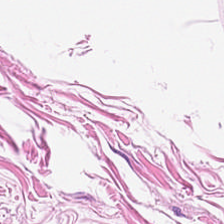H&E stain. Tissue class — adipose.
